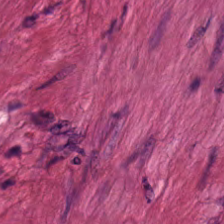Q: What tissue type is shown here?
A: Smooth muscle.
